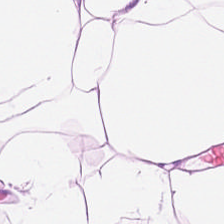H&E stain — Predominant tissue: adipose tissue.
